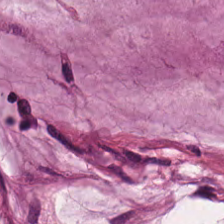0.5 µm per pixel · H&E.
The classification is mucus.
